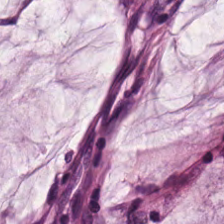H&E stain.
The predominant tissue is mucus.
